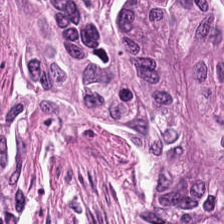H&E-stained tissue section — Adenocarcinoma.
